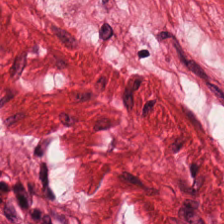20× equivalent magnification · H&E stain.
Predominantly smooth muscle.
